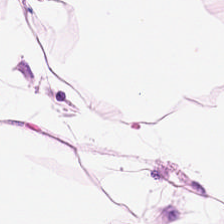Adipose.
